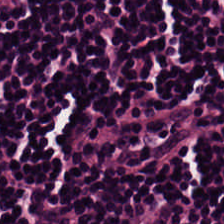Stain: H&E.
Classification: lymphocyte aggregate.
